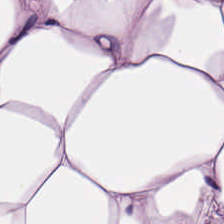H&E stain.
Predominant tissue = fat tissue.
